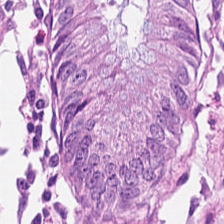Stain: H&E stain.
Classification: non-neoplastic colon mucosa.
